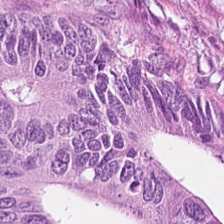H&E-stained tissue section; 224×224 px tile. Q: What is shown here?
A: Colorectal adenocarcinoma epithelium.
